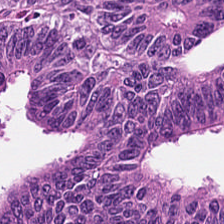Hematoxylin-and-eosin stained section — Predominant tissue: tumor epithelium.
